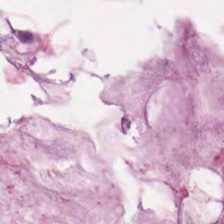H&E — mucin.
